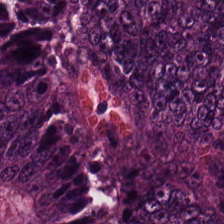Formalin-fixed paraffin-embedded section; hematoxylin and eosin; brightfield.
Tissue class: tumor epithelium.
